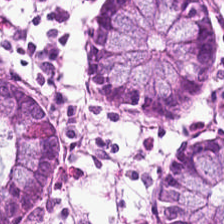224×224 px tile · H&E stain.
This patch shows benign colonic mucosa.
